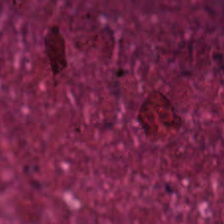Stain: hematoxylin and eosin.
Classification: necrotic debris.
